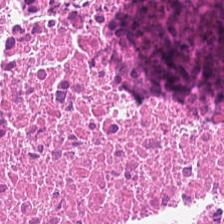H&E stain.
Tissue type: cellular debris.
